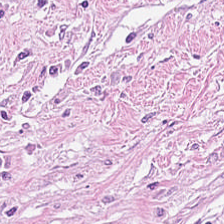H&E — {"tissue_type": "desmoplastic stroma"}
